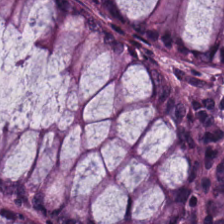H&E stain. Predominant tissue — normal colonic mucosa.
